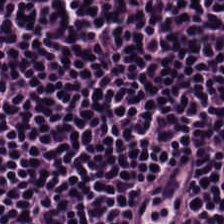Hematoxylin-and-eosin stained section. Showing lymphocytic infiltrate.
